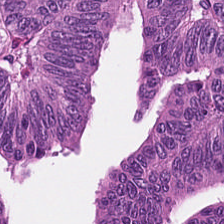H&E stain · whole-slide-image patch — Predominant tissue: colorectal adenocarcinoma epithelium.
